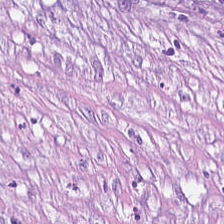H&E; 224×224 pixel tile.
Classification — cancer-associated stroma.
